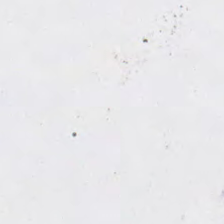This patch shows empty background.
